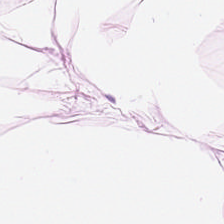H&E-stained tissue section — Fat tissue.
